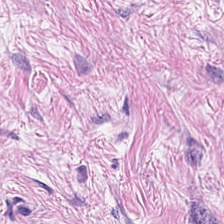This field is tumor stroma.
